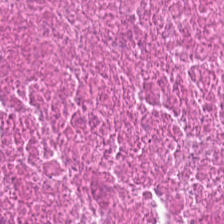224×224 px tile · H&E-stained tissue section — Tissue = debris.
